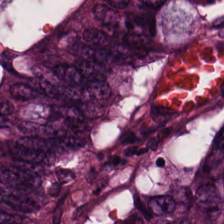Q: Classify this patch.
A: The field shows colorectal adenocarcinoma epithelium.
